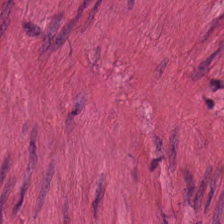H&E. Brightfield microscopy.
Tissue class — smooth-muscle tissue.
